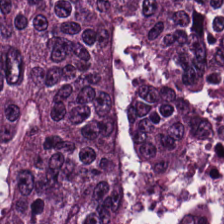H&E stain · WSI patch — The predominant tissue is tumor epithelium.
